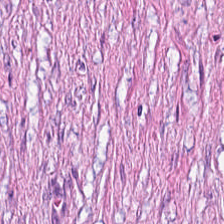H&E stain.
The predominant tissue is tumor-associated stroma.
